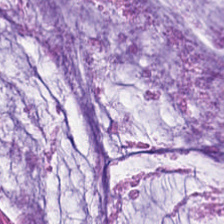Q: Classify this patch.
A: Mucin.
